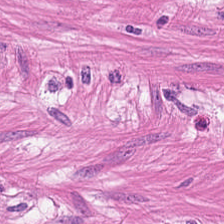FFPE tissue section; H&E.
This field is muscularis.
